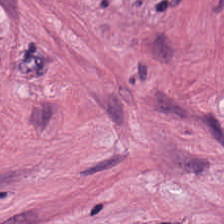H&E-stained section; the field shows cancer-associated stroma.
